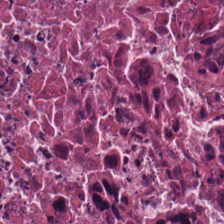Finding → cellular debris.
